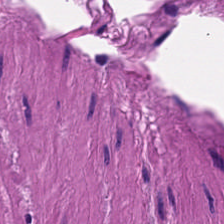FFPE. H&E stain. 224×224 pixel tile — The tissue here is muscularis.
